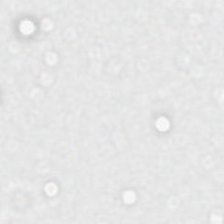Q: What is shown here?
A: This is empty background.
